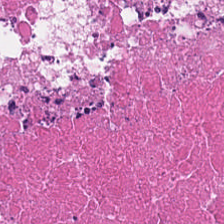H&E-stained tissue section · FFPE tissue section — Predominantly necrotic debris.
